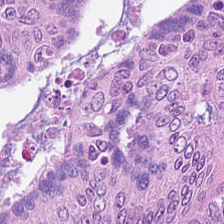Brightfield microscopy. 0.5 µm per pixel. H&E stain. Impression — colorectal adenocarcinoma epithelium.
